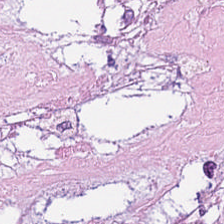Histology — necrotic debris.
